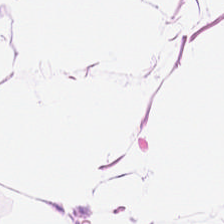H&E stain · 0.5 µm per pixel.
Q: What tissue is shown?
A: Fat tissue.
